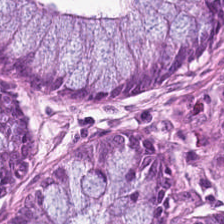0.5 µm per pixel. Brightfield microscopy. H&E-stained tissue section.
This field is benign colonic mucosa.
